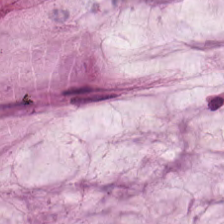Predominantly mucin.
